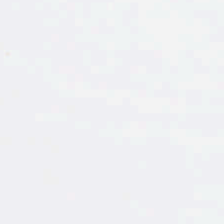FFPE tissue section; hematoxylin and eosin; whole-slide-image patch.
Q: Classify this patch.
A: It is background.
